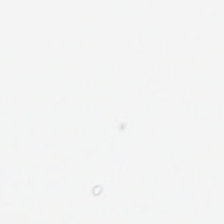Stain: H&E stain.
Field content: no tissue.
